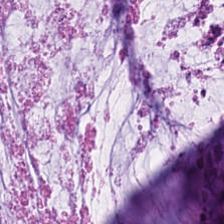H&E-stained tissue section.
Histology — extracellular mucin.
